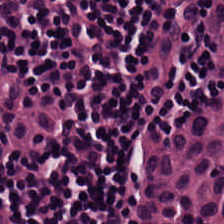Hematoxylin-and-eosin stained section · brightfield microscopy · 224×224 pixel tile — Q: What is the predominant tissue type?
A: It is lymphocytes.
